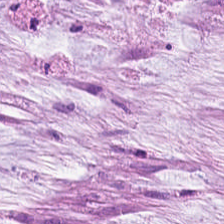Impression → mucus.
